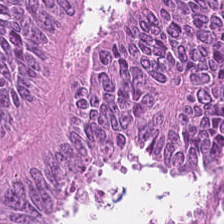H&E-stained tissue section. Impression — adenocarcinoma.
